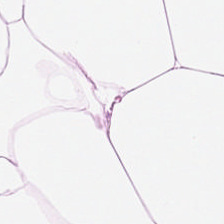H&E stain. Showing fat tissue.
